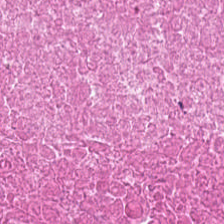The tissue here is cellular debris.
